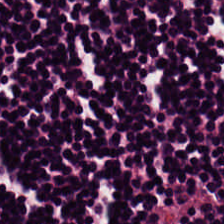H&E-stained tissue section — Lymphoid infiltrate.
